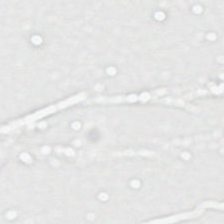Stain: hematoxylin and eosin.
Preparation: formalin-fixed paraffin-embedded section.
Tile size: 224×224 px patch.
Classification: empty background.
